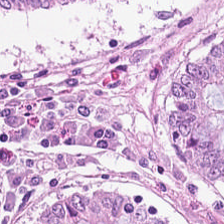H&E; FFPE tissue section.
Impression — benign colonic mucosa.
